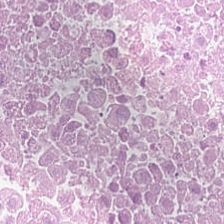224×224 px patch; H&E; 0.5 microns per pixel.
Predominant tissue = cellular debris.
